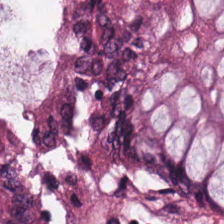Stain: hematoxylin and eosin.
Acquisition: whole-slide-image patch.
Predominant tissue: benign colonic mucosa.
